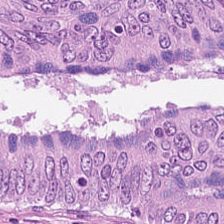H&E. Q: What is the predominant tissue type?
A: Colorectal adenocarcinoma.
